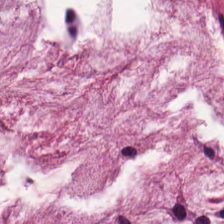H&E; brightfield microscopy. Showing extracellular mucin.
